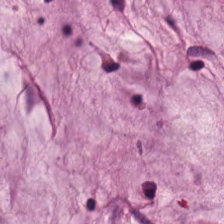H&E-stained tissue section; FFPE tissue section.
This patch shows mucin.
